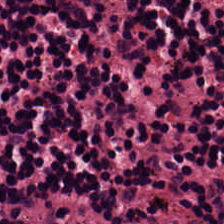Hematoxylin-and-eosin stained section. This patch shows lymphocytes.
